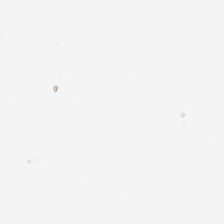H&E. No tissue present; background only.
